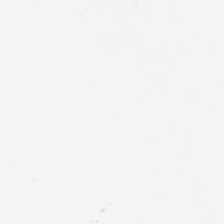H&E-stained tissue section; FFPE tissue section. Content: no tissue.
